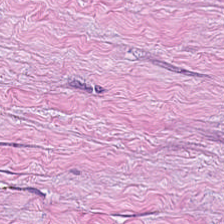H&E-stained tissue section · 0.5 µm per pixel.
Tumor-associated stroma.
